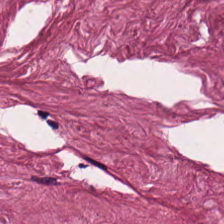Desmoplastic stroma.
